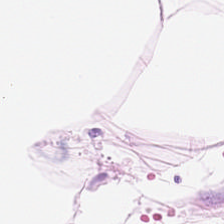H&E-stained tissue section · formalin-fixed paraffin-embedded section.
This patch shows adipocytes.
